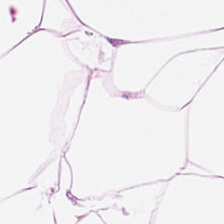H&E-stained tissue section — Predominant tissue — adipocytes.
